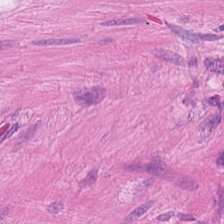H&E stain. This field is smooth muscle.
